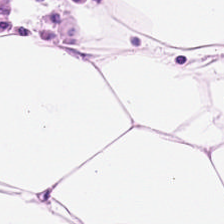Hematoxylin-and-eosin stained section — Showing adipose.
